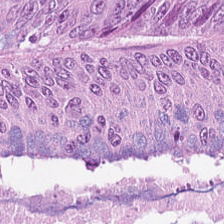H&E-stained tissue section · FFPE tissue section — The tissue is colorectal adenocarcinoma epithelium.
